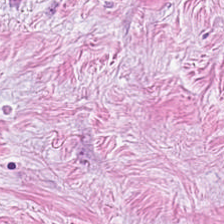FFPE tissue section · H&E stain — Q: Classify this patch.
A: Desmoplastic stroma.
